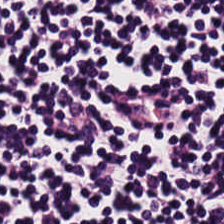FFPE. H&E.
Tissue: lymphocyte aggregate.
